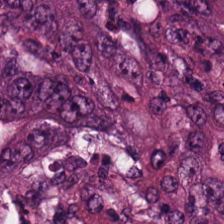Whole-slide-image patch. H&E-stained tissue section — This patch shows malignant epithelium.
